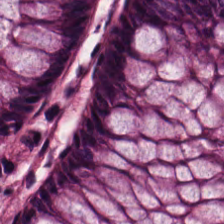Hematoxylin and eosin · 224×224 px patch — The tissue is benign colonic mucosa.
